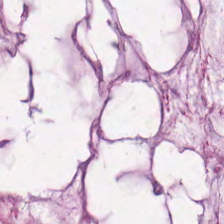H&E. Tissue: mucus.
